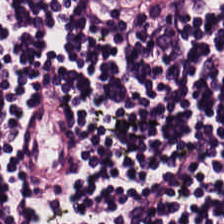20× equivalent magnification; hematoxylin and eosin.
Classification: lymphocytic infiltrate.
